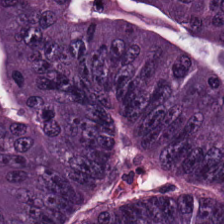H&E stain. Q: What is shown in this field?
A: The field shows malignant epithelium.
